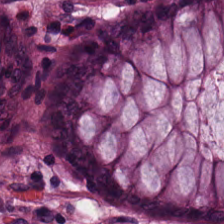H&E.
Predominantly normal colonic mucosa.
